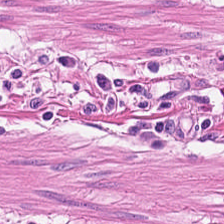H&E; FFPE tissue section — Showing smooth-muscle tissue.
